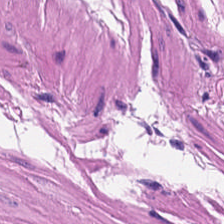Q: What tissue is shown?
A: This is smooth-muscle tissue.
